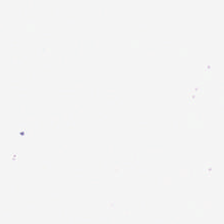Brightfield · H&E stain — This field is background (no tissue).
